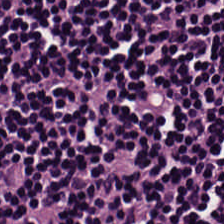Stain: hematoxylin-and-eosin stained section.
Classification: lymphocytic infiltrate.
